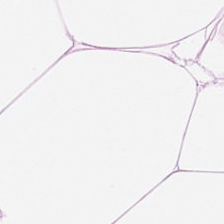H&E-stained tissue section.
Histology — adipose.
